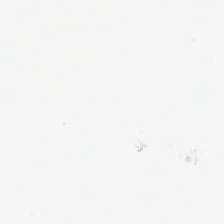H&E stain — Field content = background (no tissue).
